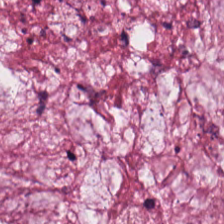Whole-slide-image patch. H&E — Showing mucin.
